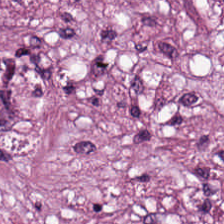H&E. {"tissue_type": "desmoplastic stroma"}
